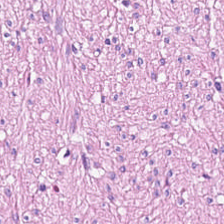224×224 px tile · H&E-stained tissue section — Tissue class — muscularis.
